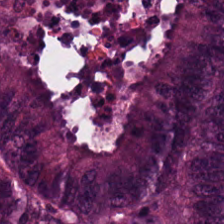Predominant tissue: colorectal adenocarcinoma.
